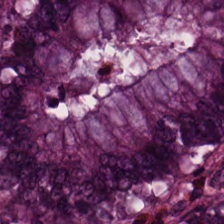Stain: hematoxylin-and-eosin stained section.
Tissue type: normal colon mucosa.
